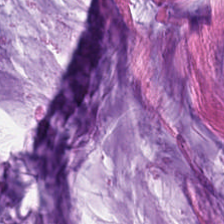Hematoxylin-and-eosin stained section · formalin-fixed paraffin-embedded section. {"tissue_type": "mucus"}
